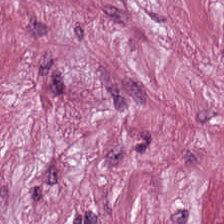H&E-stained tissue section showing cancer-associated stroma.
